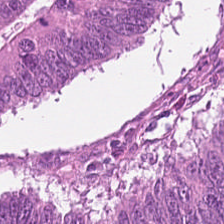Hematoxylin-and-eosin stained section. 0.5 microns per pixel. FFPE. Q: Classify this patch.
A: The field shows malignant epithelium.
